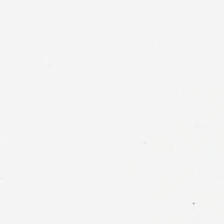20× equivalent magnification; hematoxylin and eosin; 224×224 px tile. Content — empty background.
